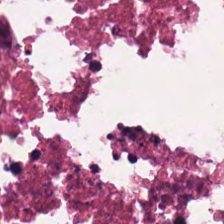H&E — Q: What does this patch show?
A: This is necrotic debris.
